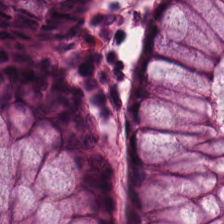FFPE tissue section; hematoxylin-and-eosin stained section — Normal colonic mucosa.
